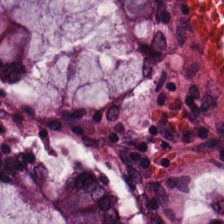H&E stain · WSI patch · 224×224 px tile — Showing normal colonic mucosa.
